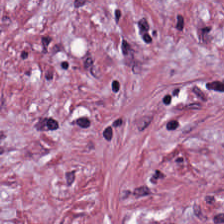Histology — desmoplastic stroma.
